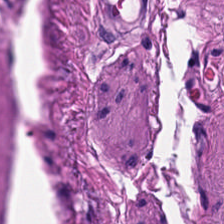H&E.
Tissue class: smooth muscle.
